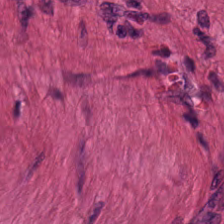H&E stain. Q: What tissue is shown?
A: The field shows smooth muscle.
